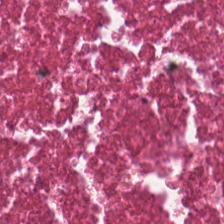0.5 µm/px · brightfield microscopy · H&E.
Necrotic debris.
